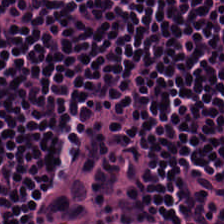H&E-stained tissue section — Tissue type = lymphoid infiltrate.
